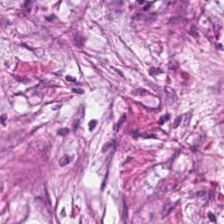{"tissue_type": "desmoplastic stroma"}
